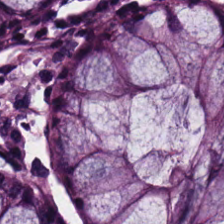Hematoxylin and eosin. The tissue type is normal colon mucosa.
